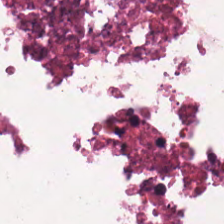H&E stain — {"tissue_type": "debris"}
